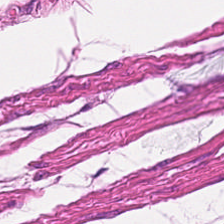Histology → smooth-muscle tissue.
